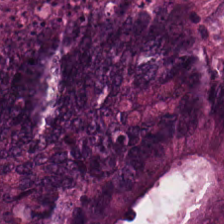Hematoxylin-and-eosin stained section — Predominantly tumor epithelium.
